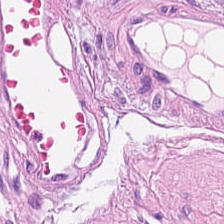FFPE · 0.5 µm/px · H&E — Q: What is shown in this field?
A: The field shows smooth muscle.
